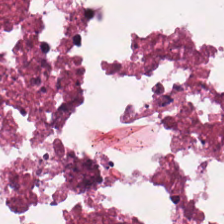Stain: H&E stain.
Tissue: debris.
